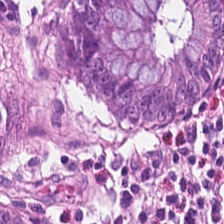Stain: H&E.
Classification: normal colonic mucosa.
